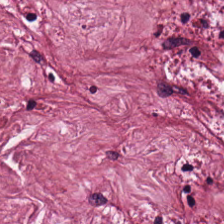H&E-stained tissue section — Q: What type of tissue is this?
A: Cancer-associated stroma.
